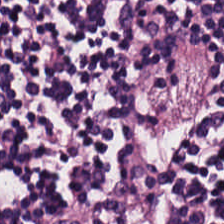Brightfield; H&E; FFPE tissue section — Tissue class: lymphoid infiltrate.
